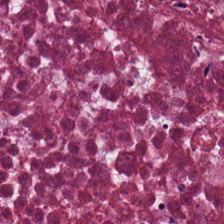Hematoxylin and eosin; WSI patch. Tissue type = necrotic debris.
